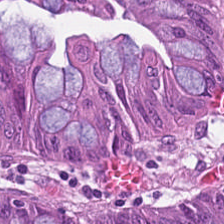Histology — adenocarcinoma.
